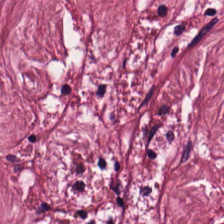Formalin-fixed paraffin-embedded section. H&E stain. Q: Classify this patch.
A: The field shows desmoplastic stroma.
